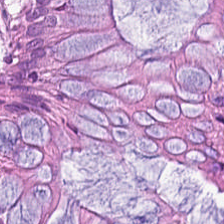Formalin-fixed paraffin-embedded section; H&E-stained tissue section; 224×224 px patch — Predominant tissue = benign colonic mucosa.
